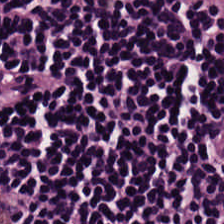H&E. This patch shows lymphocytes.
